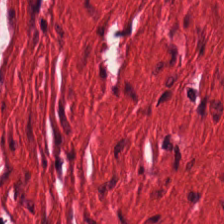Stain: H&E-stained tissue section.
Tissue type: muscularis.
